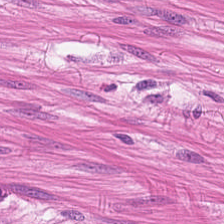Showing smooth-muscle tissue.
